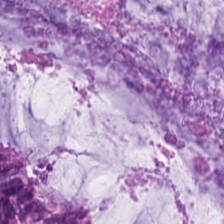Stain: H&E-stained tissue section.
Classification: extracellular mucin.
